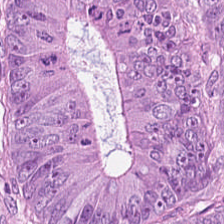Hematoxylin-and-eosin stained section — This field is adenocarcinoma.
